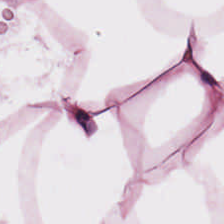H&E-stained tissue section showing adipocytes.
